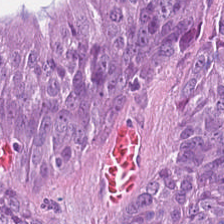Hematoxylin and eosin — Q: What is shown here?
A: Malignant epithelium.
